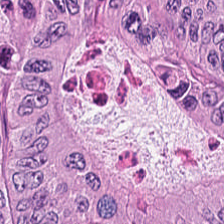H&E — Tumor epithelium.
